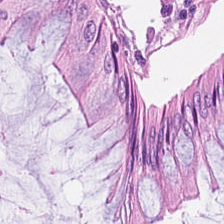H&E-stained tissue section. Showing benign colonic mucosa.
